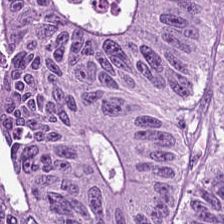0.5 µm per pixel. H&E.
{"tissue_type": "tumor epithelium"}
